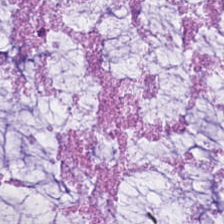Hematoxylin and eosin. Tissue class = extracellular mucin.
